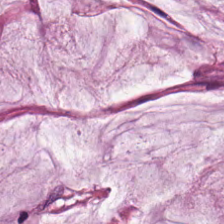Hematoxylin and eosin. Classification: mucus.
